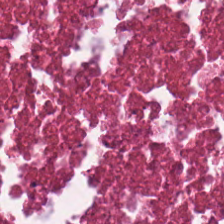H&E; 0.5 microns per pixel; FFPE tissue section.
Q: Classify this patch.
A: Debris.
